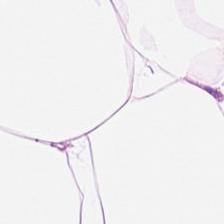Formalin-fixed paraffin-embedded section · hematoxylin-and-eosin stained section · 224×224 pixel tile. Classification — adipose tissue.
